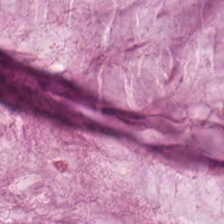Finding → extracellular mucin.
